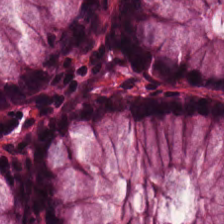H&E.
This patch shows normal colonic mucosa.
